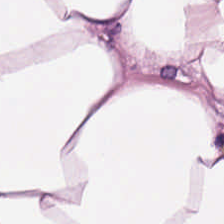H&E-stained tissue section. Formalin-fixed paraffin-embedded section.
Impression → fat tissue.
